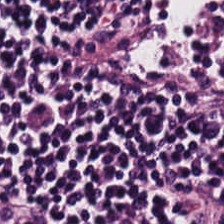H&E-stained tissue section. Whole-slide-image patch — Lymphocytic infiltrate.
